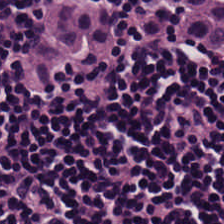224×224 pixel tile; H&E-stained tissue section — Tissue class: lymphocytic infiltrate.
